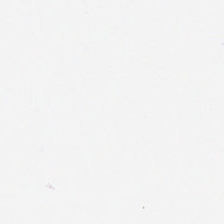Hematoxylin and eosin; 224×224 px patch.
Tissue — adipose.
